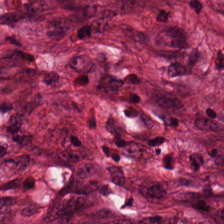Impression — tumor-associated stroma.
